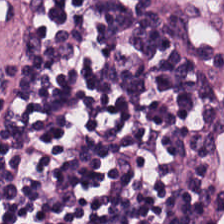Hematoxylin and eosin — This field is lymphocytes.
